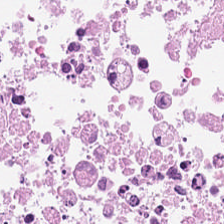Hematoxylin and eosin — Tissue type — cellular debris.
